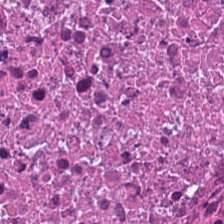H&E stain — Finding — cellular debris.
